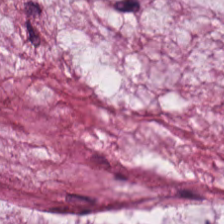Hematoxylin-and-eosin stained section. Whole-slide-image patch.
{"tissue_type": "mucin"}
